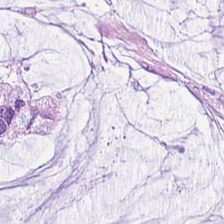H&E stain. Predominantly mucus.
